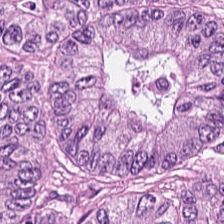Histology → colorectal adenocarcinoma.
